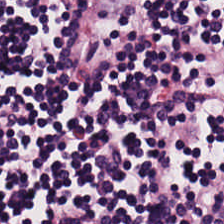H&E-stained tissue section.
Impression → lymphocytes.
